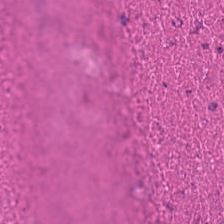H&E-stained tissue section. FFPE. Q: Identify the tissue.
A: The field shows necrotic debris.
